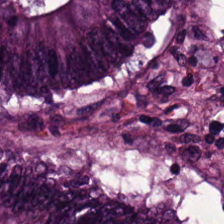Brightfield microscopy · hematoxylin-and-eosin stained section.
Classification = colorectal adenocarcinoma.
